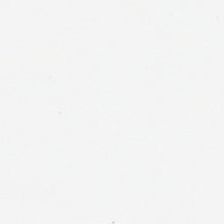Stain: hematoxylin-and-eosin stained section.
Acquisition: whole-slide-image patch.
Resolution: 0.5 µm per pixel.
Content: no tissue.
